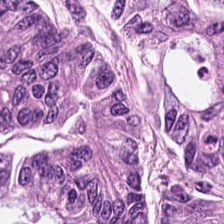Showing colorectal adenocarcinoma.
